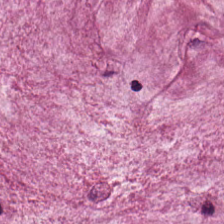Whole-slide-image patch. Hematoxylin and eosin. Q: What is shown in this field?
A: Extracellular mucin.
